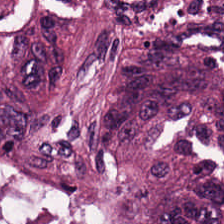Hematoxylin-and-eosin stained section — Adenocarcinoma.
